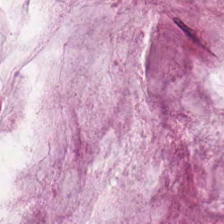0.5 µm/px · hematoxylin-and-eosin stained section.
The tissue type is mucus.
